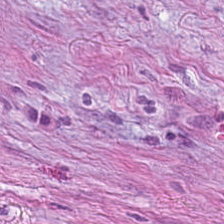Impression → cancer-associated stroma.
